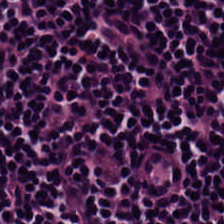H&E stain — Finding → lymphocytic infiltrate.
